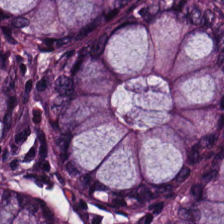H&E. Tissue class — benign colonic mucosa.
